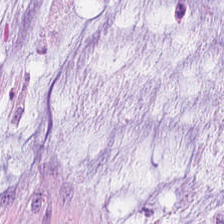Hematoxylin and eosin · FFPE tissue section.
Classification: mucin.
